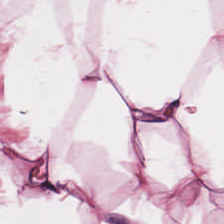Q: What tissue type is shown here?
A: It is adipocytes.
